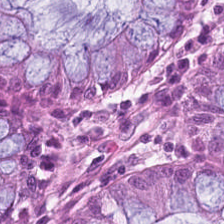H&E stain — Showing non-neoplastic colon mucosa.
